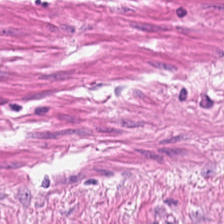Histology — smooth muscle.
